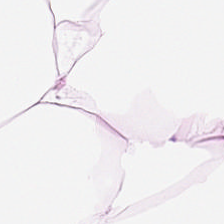H&E stain — Q: Classify this patch.
A: It is fat tissue.
